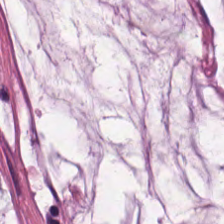20× equivalent magnification; brightfield; H&E-stained tissue section. Tissue type = mucin.
